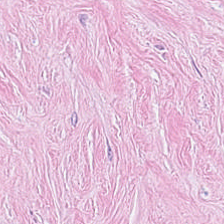H&E-stained tissue section.
The classification is tumor-associated stroma.
